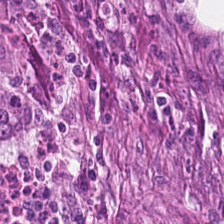224×224 px tile. H&E-stained tissue section. Brightfield. The tissue here is colorectal adenocarcinoma epithelium.
